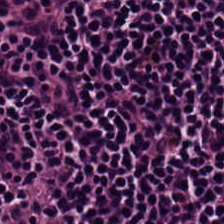Stain: H&E stain.
Classification: lymphocytic infiltrate.
